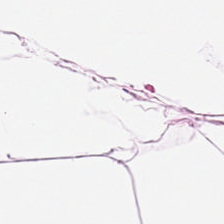Hematoxylin and eosin. Histology → adipose.
